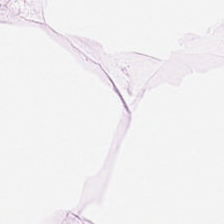H&E stain · FFPE · 0.5 µm per pixel.
Showing fat tissue.
